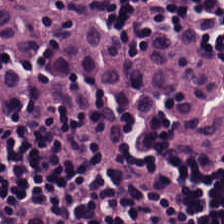The tissue is lymphocytic infiltrate.
